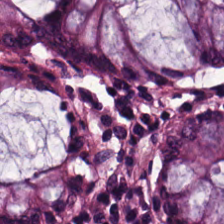This field is benign colonic mucosa.
